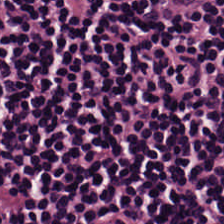Stain: hematoxylin-and-eosin stained section.
Tissue type: lymphocyte aggregate.
